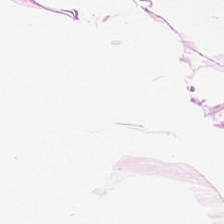Hematoxylin and eosin.
Impression → adipose tissue.
